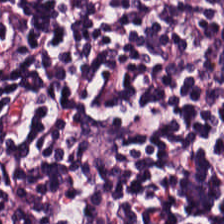224×224 pixel tile. H&E-stained tissue section — Finding → lymphocytic infiltrate.
